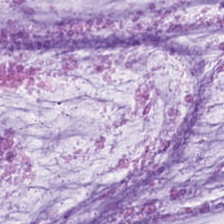H&E stain. Q: What type of tissue is this?
A: Mucus.
